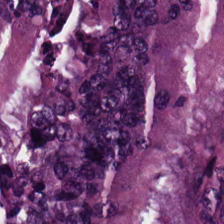Q: What does this patch show?
A: This is tumor epithelium.
